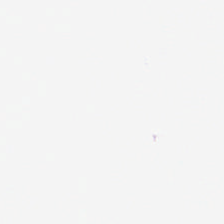Hematoxylin and eosin — The content is empty background.
